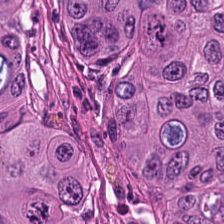H&E stain — Tissue: malignant epithelium.
